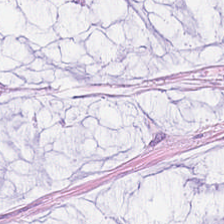H&E — Histology → mucin.
